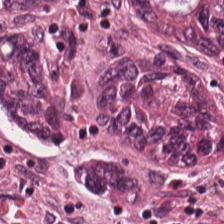H&E. 224×224 px patch — Showing malignant epithelium.
